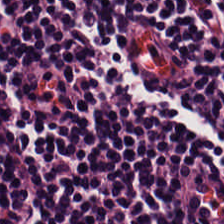H&E-stained tissue section — Predominantly lymphocytic infiltrate.
